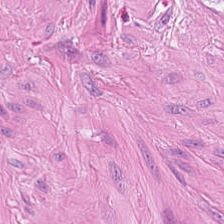Hematoxylin and eosin — Predominantly smooth muscle.
